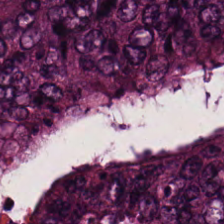0.5 microns per pixel · H&E · 224×224 px patch — This field is adenocarcinoma.
